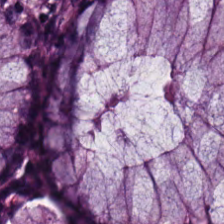224×224 px patch; H&E. Q: What is shown here?
A: Normal colon mucosa.
